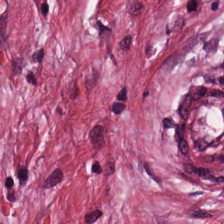Q: What tissue is shown?
A: This is tumor stroma.
